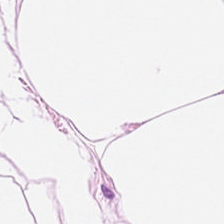Tissue class = adipocytes.
